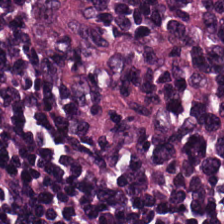H&E stain — Tissue = lymphocytes.
